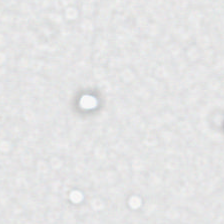20× equivalent magnification. Hematoxylin and eosin.
Q: Classify this patch.
A: This is no tissue.
